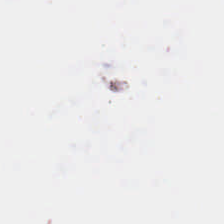Hematoxylin and eosin.
Empty background.
